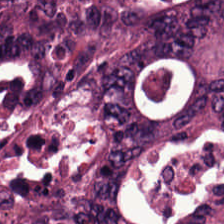Hematoxylin and eosin. Impression → tumor epithelium.
